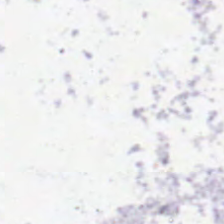H&E-stained tissue section. Classification — background (no tissue).
